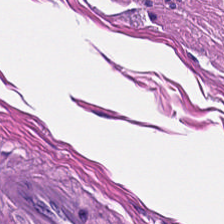Q: Identify the tissue.
A: It is muscularis.
